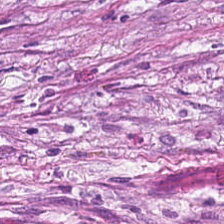H&E.
The tissue here is tumor stroma.
